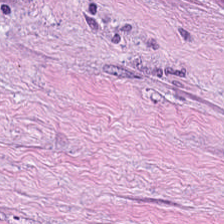Q: What is shown in this field?
A: Cancer-associated stroma.
